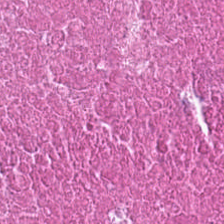224×224 px patch; 0.5 µm/px; hematoxylin-and-eosin stained section.
{"tissue_type": "debris"}
